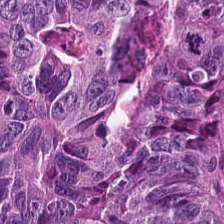The predominant tissue is malignant epithelium.
